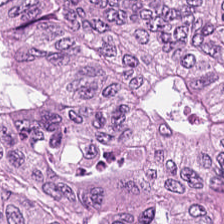Hematoxylin and eosin — The predominant tissue is tumor epithelium.
